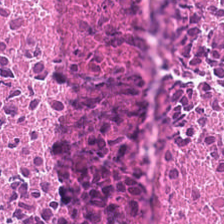H&E-stained tissue section — The tissue is debris.
